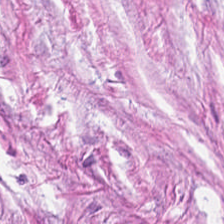This patch shows tumor-associated stroma.
